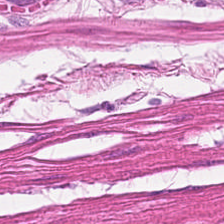H&E. FFPE. 224×224 pixel tile. Q: Classify this patch.
A: It is smooth muscle.
